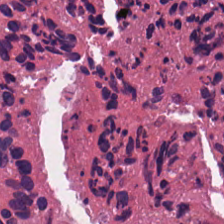Hematoxylin-and-eosin stained section.
Q: What tissue type is shown here?
A: Necrotic debris.
